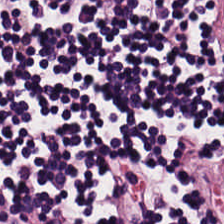H&E stain.
Impression — lymphocytic infiltrate.
